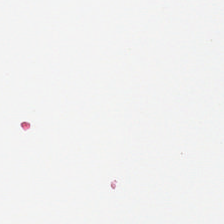Classification = background.
